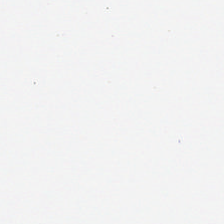Field content: background (no tissue).
